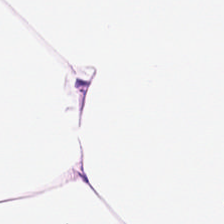Finding → adipose.
